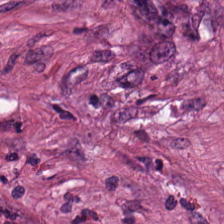Q: What type of tissue is this?
A: The field shows desmoplastic stroma.
